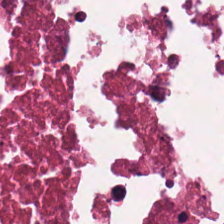0.5 µm/px; H&E.
The tissue is cellular debris.
